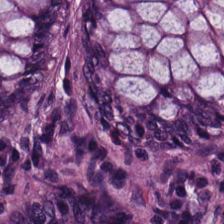The tissue is non-neoplastic colon mucosa.
